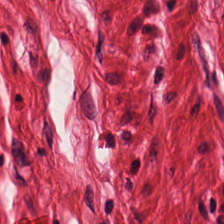Whole-slide-image patch. Hematoxylin-and-eosin stained section. 0.5 µm per pixel — This patch shows smooth-muscle tissue.
